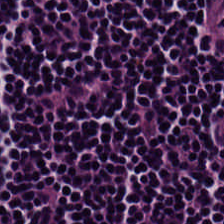Hematoxylin and eosin — Impression — lymphoid infiltrate.
